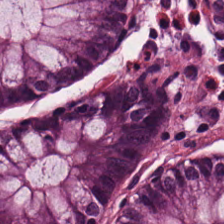20× equivalent magnification · formalin-fixed paraffin-embedded section · H&E. Tissue class — normal colonic mucosa.
